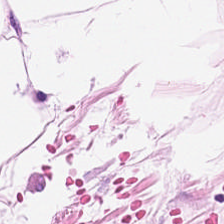Stain: H&E-stained tissue section.
Acquisition: brightfield.
Resolution: 0.5 µm/px.
Classification: adipocytes.
